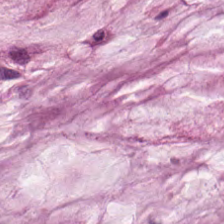Hematoxylin and eosin.
The classification is mucin.
